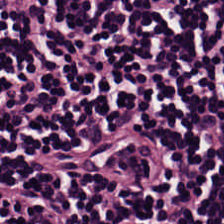{"tissue_type": "lymphocyte aggregate"}
